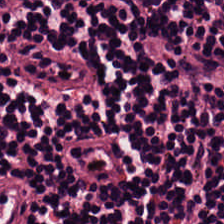Hematoxylin and eosin.
Q: What tissue type is shown here?
A: Lymphoid infiltrate.
